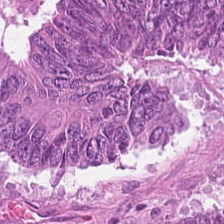224×224 px patch. H&E-stained tissue section. 0.5 µm per pixel. This patch shows malignant epithelium.
